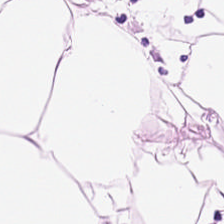H&E stain — Finding → fat tissue.
